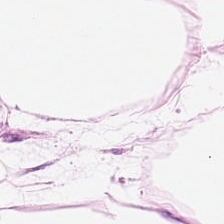Q: What does this patch show?
A: The field shows adipose tissue.
